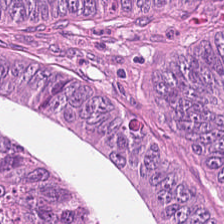Stain: H&E stain.
Tissue type: tumor epithelium.
